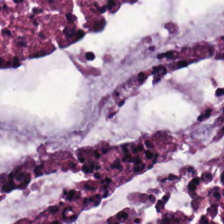The tissue here is mucus.
